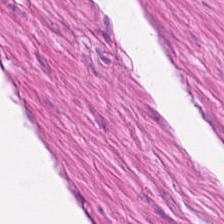Stain: H&E-stained tissue section.
Classification: smooth muscle.
